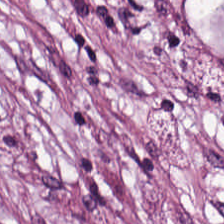FFPE tissue section · 0.5 microns per pixel · H&E-stained tissue section — Tissue type: tumor-associated stroma.
